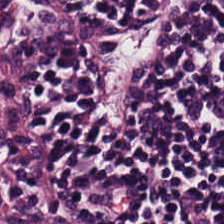H&E-stained tissue section.
The tissue class is lymphocytic infiltrate.
